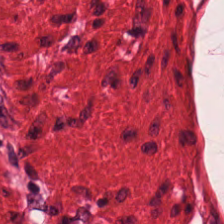20× equivalent magnification · hematoxylin and eosin. This patch shows muscularis.
